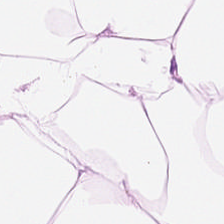Stain: H&E stain.
Resolution: 0.5 microns per pixel.
Acquisition: brightfield.
Tissue class: adipose tissue.
